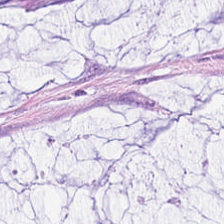H&E. WSI patch.
Extracellular mucin.
